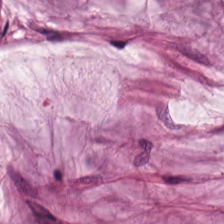Stain: H&E stain.
Predominant tissue: mucus.
